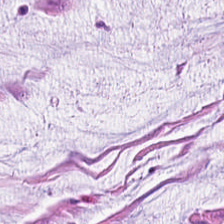FFPE. H&E. 0.5 µm per pixel. Classification — mucus.
